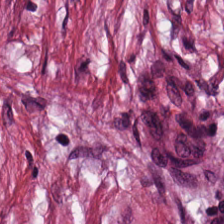Hematoxylin-and-eosin stained section — Tumor-associated stroma.
